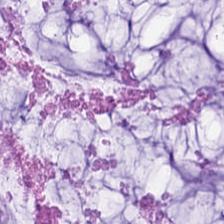H&E — Q: What is shown in this field?
A: This is extracellular mucin.
